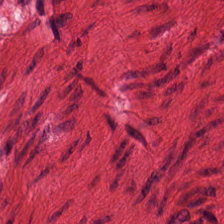H&E stain.
Tissue class: muscularis.
